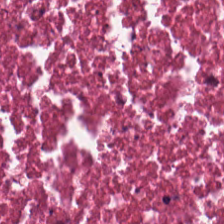20× equivalent magnification. H&E-stained tissue section. FFPE tissue section. The classification is debris.
